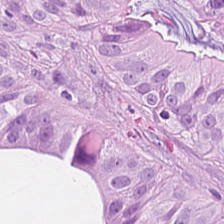H&E. FFPE tissue section — This patch shows adenocarcinoma.
